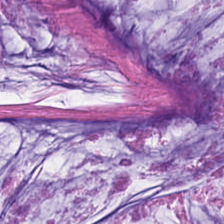H&E-stained tissue section. Predominantly extracellular mucin.
